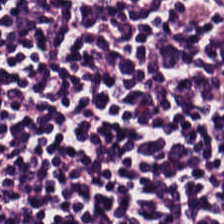H&E. FFPE.
Impression → lymphocyte aggregate.
